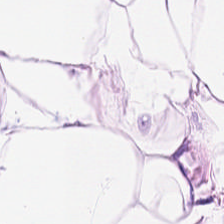Predominantly adipose tissue.
